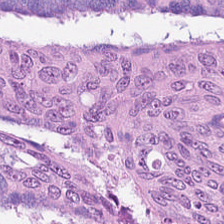This patch shows colorectal adenocarcinoma epithelium.
